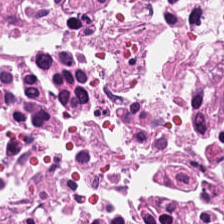Cellular debris.
